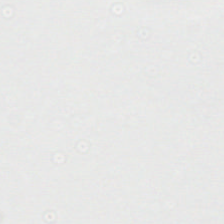Stain: H&E stain.
Classification: background (no tissue).
